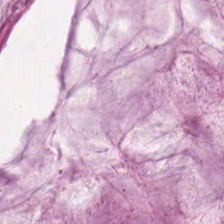Hematoxylin-and-eosin stained section · FFPE tissue section.
The predominant tissue is mucin.
